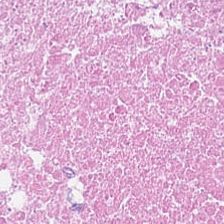Stain: H&E stain.
Tissue class: debris.
